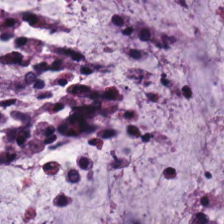Stain: hematoxylin and eosin.
Tissue class: mucin.
